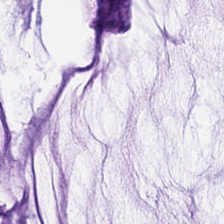Q: What is the predominant tissue type?
A: This is extracellular mucin.
